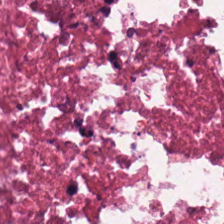Tissue = necrotic debris.
